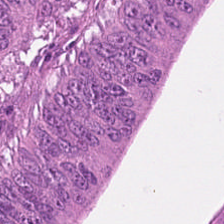Stain: H&E stain.
Resolution: 0.5 microns per pixel.
Tissue: colorectal adenocarcinoma.
